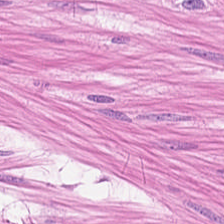FFPE · hematoxylin-and-eosin stained section · whole-slide-image patch. Showing smooth muscle.
